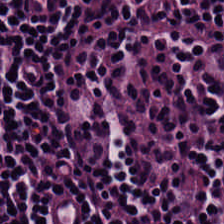Hematoxylin-and-eosin stained section.
Q: What is the predominant tissue type?
A: This is lymphocyte aggregate.
